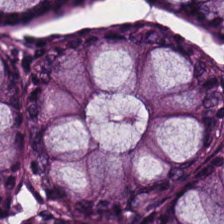Hematoxylin and eosin. 0.5 microns per pixel. Tissue — normal colon mucosa.
